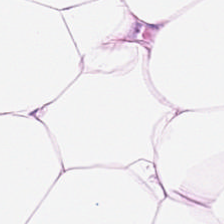H&E stain. {"tissue_type": "adipose tissue"}
